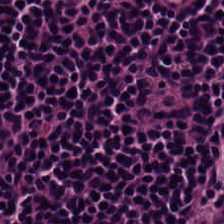Predominant tissue: lymphocytic infiltrate.
